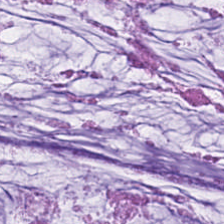H&E-stained tissue section showing extracellular mucin.
